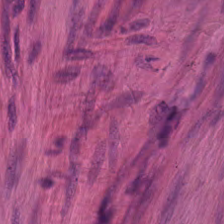H&E stain — This patch shows muscularis.
